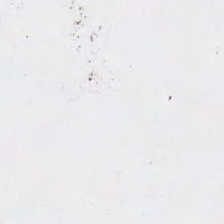Stain: H&E.
Content: empty background.
